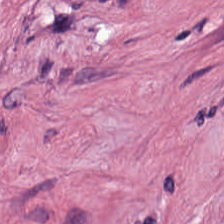H&E-stained tissue section.
Predominantly tumor-associated stroma.
